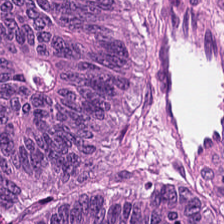H&E stain. FFPE tissue section — Classification = colorectal adenocarcinoma epithelium.
